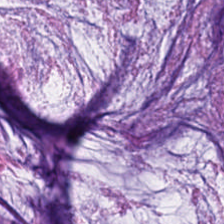H&E-stained tissue section. Q: What is the predominant tissue type?
A: The field shows mucus.
